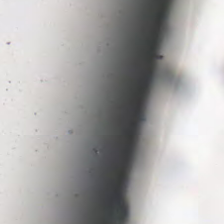0.5 microns per pixel. H&E. Empty field — background.
